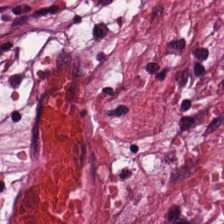Whole-slide-image patch; H&E-stained tissue section. Showing tumor-associated stroma.
